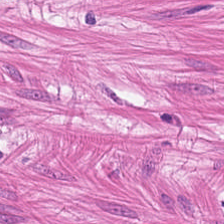This patch shows smooth-muscle tissue.
